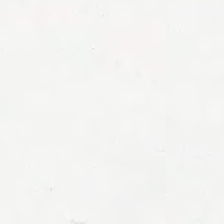Stain: H&E stain.
Preparation: formalin-fixed paraffin-embedded section.
Classification: background (no tissue).
